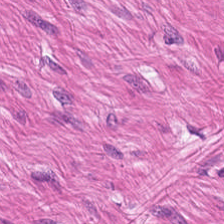H&E stain. 0.5 microns per pixel. FFPE tissue section. This field is muscularis.
